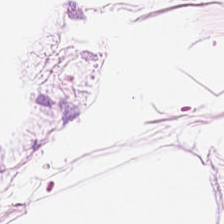This field is adipose.
